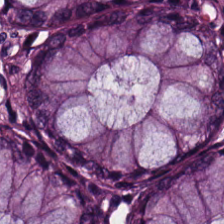Hematoxylin-and-eosin stained section; 0.5 µm per pixel.
The predominant tissue is normal colonic mucosa.
